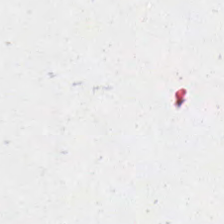224×224 px tile · FFPE · H&E stain — This field is background (no tissue).
